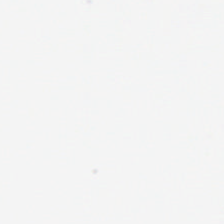H&E stain.
The field content is no tissue.
